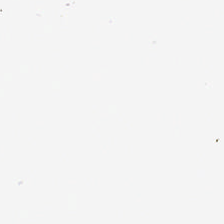Hematoxylin and eosin. 0.5 µm/px. FFPE. Q: Classify this patch.
A: This is background (no tissue).
